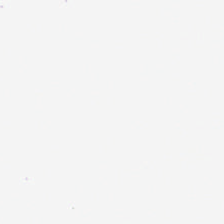H&E-stained tissue section. Q: Classify this patch.
A: This is no tissue.
